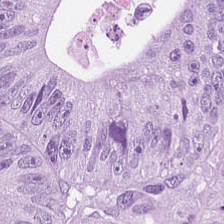H&E-stained tissue section.
This field is malignant epithelium.
